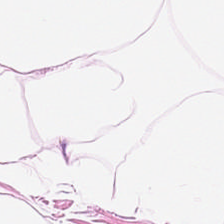224×224 px tile. H&E-stained tissue section. {"tissue_type": "fat tissue"}
